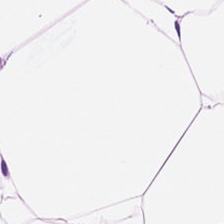H&E stain.
Finding → fat tissue.
